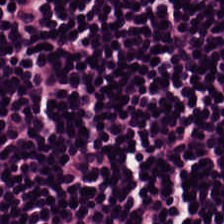H&E. Tissue type = lymphoid infiltrate.
